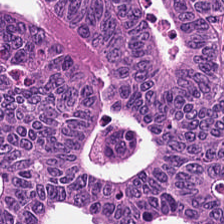H&E.
Showing colorectal adenocarcinoma epithelium.
